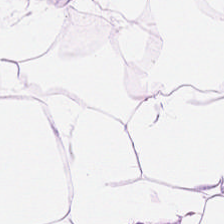H&E stain.
Q: Classify this patch.
A: Adipocytes.
